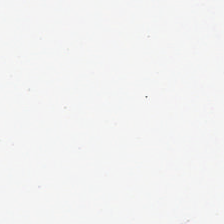H&E stain. Q: What is shown here?
A: The field shows no tissue.
